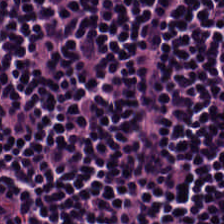H&E-stained tissue section.
This field is lymphoid infiltrate.
